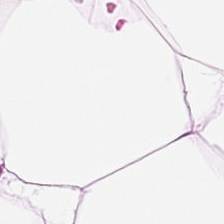Stain: H&E-stained tissue section.
Acquisition: brightfield.
Tissue class: fat tissue.
